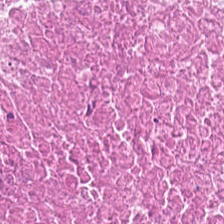Hematoxylin and eosin — The tissue here is cellular debris.
